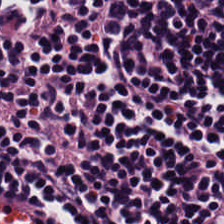Hematoxylin and eosin. FFPE tissue section. WSI patch — The tissue is lymphocyte aggregate.
